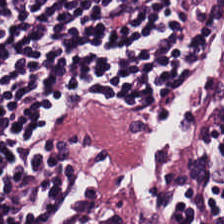Stain: hematoxylin and eosin.
Preparation: FFPE tissue section.
Predominant tissue: lymphocyte aggregate.
